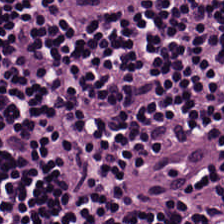224×224 px tile · brightfield microscopy · hematoxylin-and-eosin stained section. {"tissue_type": "lymphocyte aggregate"}
